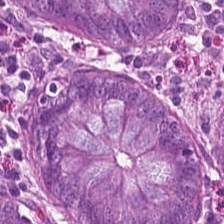H&E-stained tissue section.
The tissue here is normal colonic mucosa.
